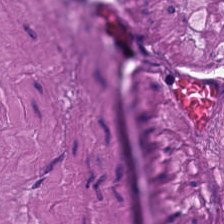Hematoxylin and eosin.
Tissue class = smooth-muscle tissue.
